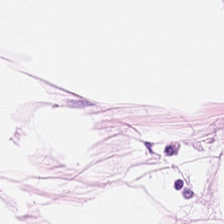H&E. Tissue = adipocytes.
